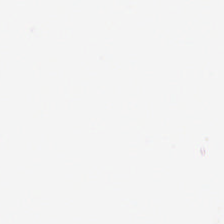Hematoxylin and eosin — This patch shows empty background.
